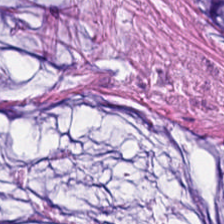Q: What is shown here?
A: The field shows mucin.
